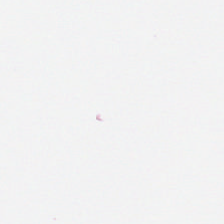Background.
